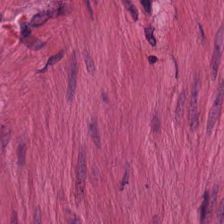The predominant tissue is smooth muscle.
